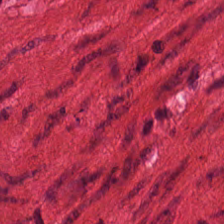H&E-stained tissue section · formalin-fixed paraffin-embedded section. Q: What is shown in this field?
A: The field shows muscularis.
